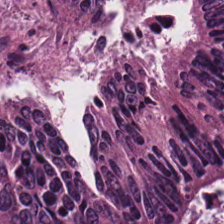H&E stain. Q: What does this patch show?
A: It is colorectal adenocarcinoma.
